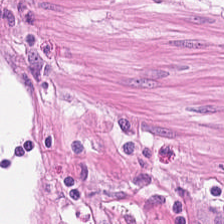H&E-stained tissue section; WSI patch. Predominant tissue = muscularis.
